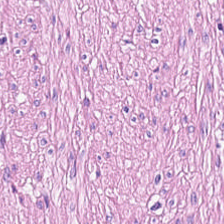H&E-stained section; the field shows muscularis.
